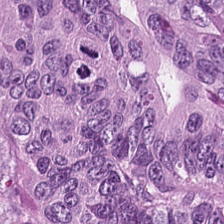224×224 px patch; H&E — This patch shows colorectal adenocarcinoma epithelium.
